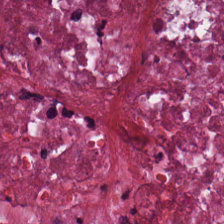H&E-stained section; the field shows necrotic debris.
